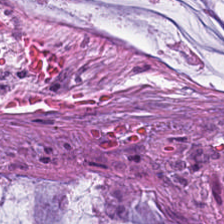Q: What does this patch show?
A: This is mucin.
